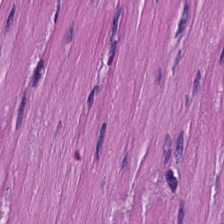H&E-stained tissue section — Tissue class = muscularis.
